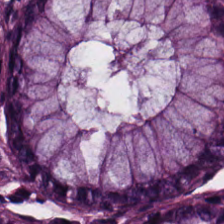Hematoxylin and eosin; 224×224 pixel tile; 0.5 µm/px.
The predominant tissue is non-neoplastic colon mucosa.
